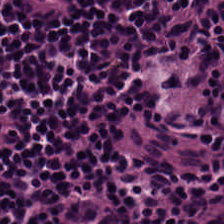H&E-stained section; the field shows lymphocyte aggregate.
